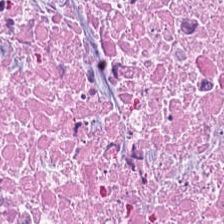Q: What tissue is shown?
A: It is necrotic debris.
